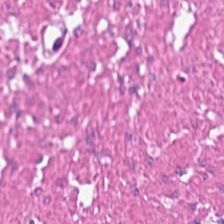Finding → smooth muscle.
